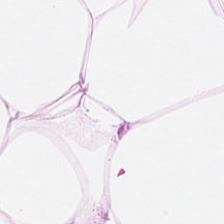Hematoxylin-and-eosin stained section · WSI patch — Q: What tissue is shown?
A: It is fat tissue.
